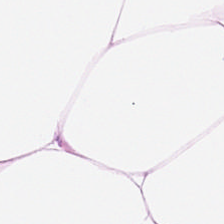H&E — {"tissue_type": "fat tissue"}
